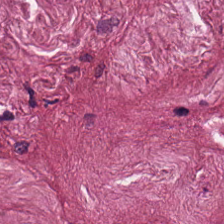H&E stain.
Q: Classify this patch.
A: It is tumor-associated stroma.
